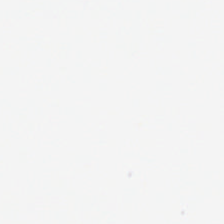224×224 pixel tile; FFPE; hematoxylin-and-eosin stained section — Q: What is shown in this field?
A: No tissue.
